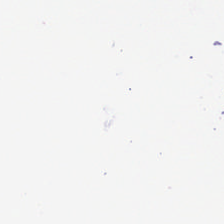Hematoxylin-and-eosin stained section. Field content = background (no tissue).
